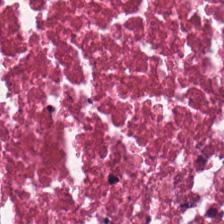FFPE tissue section · H&E-stained tissue section.
Q: What tissue is shown?
A: This is necrotic debris.
